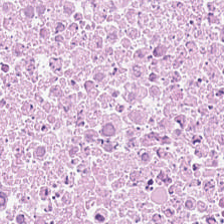Showing debris.
